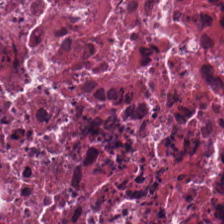{"tissue_type": "debris"}
